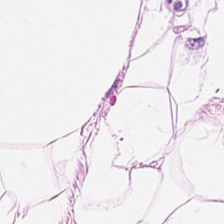Stain: H&E stain.
Predominant tissue: adipocytes.
